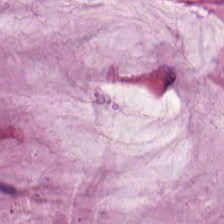Stain: H&E.
Preparation: FFPE.
Tile size: 224×224 px tile.
Tissue type: mucin.
